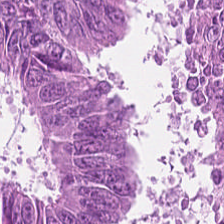H&E. This field is malignant epithelium.
